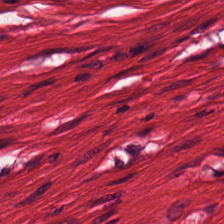Hematoxylin and eosin — Smooth muscle.
